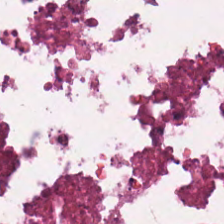20× equivalent magnification. H&E-stained tissue section. {"tissue_type": "debris"}
